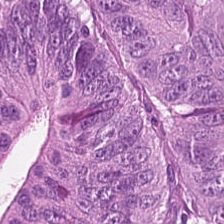Formalin-fixed paraffin-embedded section · H&E stain. The predominant tissue is colorectal adenocarcinoma epithelium.
